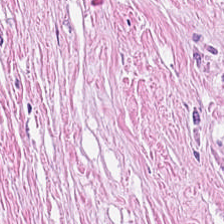Brightfield microscopy. H&E stain. FFPE.
Q: What is the predominant tissue type?
A: It is cancer-associated stroma.
